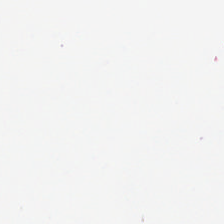H&E-stained tissue section. Classification — background.
